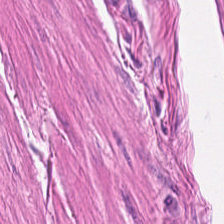Hematoxylin-and-eosin stained section. Showing muscularis.
